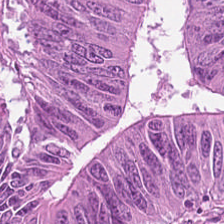Hematoxylin and eosin. This field is colorectal adenocarcinoma.
